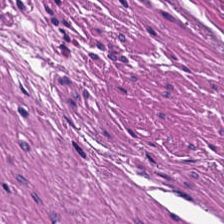H&E — Finding — smooth muscle.
